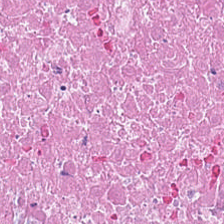224×224 pixel tile; H&E; brightfield — The tissue class is necrotic debris.
